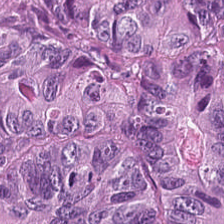FFPE tissue section · hematoxylin and eosin · 0.5 µm/px — Histology — malignant epithelium.
